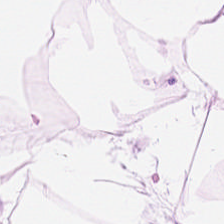20× equivalent magnification. FFPE tissue section. Hematoxylin-and-eosin stained section.
Impression → adipose.
